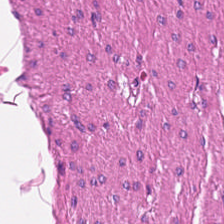H&E; 224×224 px tile — Q: What tissue type is shown here?
A: The field shows muscularis.
